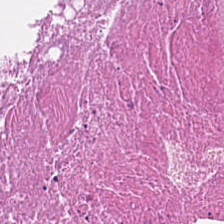H&E.
Necrotic debris.
